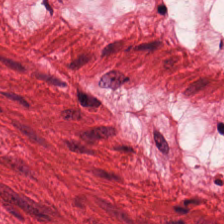H&E patch showing muscularis.
